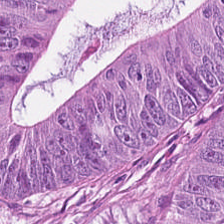Hematoxylin-and-eosin stained section; brightfield — This patch shows tumor epithelium.
